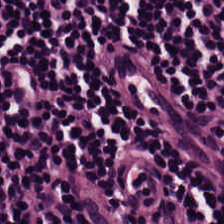Hematoxylin and eosin. Formalin-fixed paraffin-embedded section. Q: Identify the tissue.
A: Lymphocytic infiltrate.
